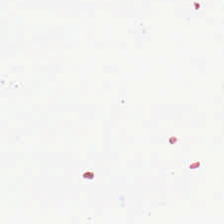Hematoxylin-and-eosin stained section.
This patch shows no tissue.
